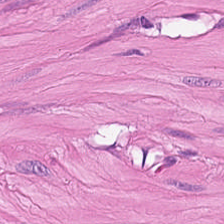224×224 px patch · H&E stain · 0.5 µm per pixel — Q: Identify the tissue.
A: The field shows muscularis.
